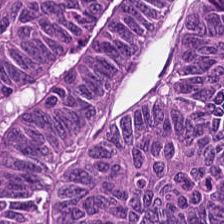H&E. Tissue type = adenocarcinoma.
